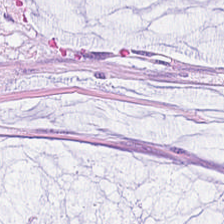Hematoxylin and eosin. {"tissue_type": "mucus"}
